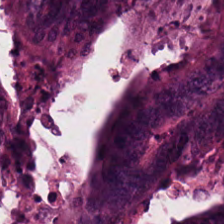Hematoxylin-and-eosin stained section; formalin-fixed paraffin-embedded section.
The predominant tissue is colorectal adenocarcinoma.
